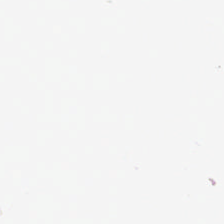Stain: H&E.
Tile size: 224×224 px patch.
Field content: empty background.
